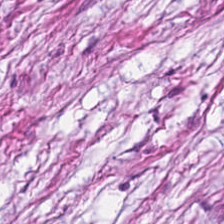Stain: H&E-stained tissue section.
Tile size: 224×224 px tile.
Tissue type: tumor stroma.
